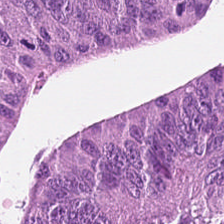Impression — tumor epithelium.
